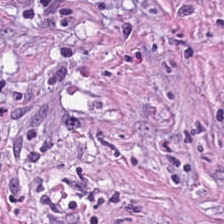224×224 px tile. H&E stain. Brightfield microscopy.
Q: What tissue is shown?
A: The field shows tumor-associated stroma.
